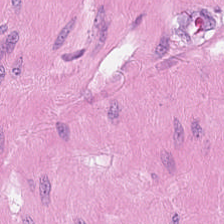Q: What is shown in this field?
A: It is smooth muscle.
